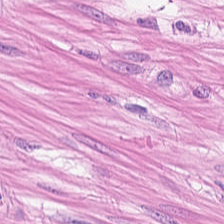Q: Classify this patch.
A: The field shows smooth-muscle tissue.
